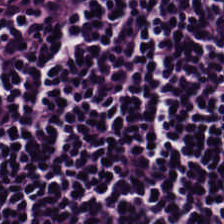Showing lymphocytic infiltrate.
